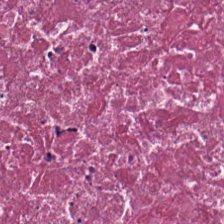0.5 µm/px · hematoxylin-and-eosin stained section · 224×224 px tile — This field is cellular debris.
